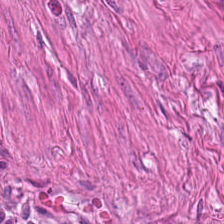H&E-stained tissue section. This field is muscularis.
